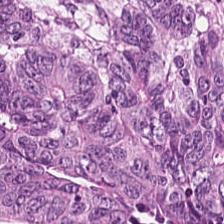Classification = colorectal adenocarcinoma epithelium.
